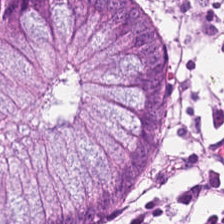Hematoxylin-and-eosin stained section. The tissue here is non-neoplastic colon mucosa.
